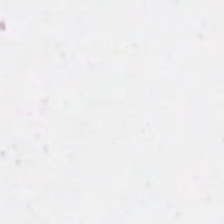The content is empty background.
